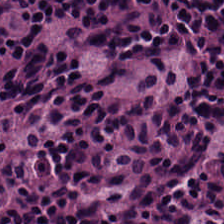This field is lymphoid infiltrate.
